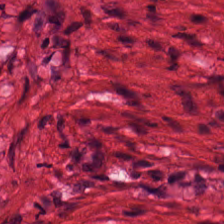Hematoxylin-and-eosin stained section; 0.5 µm per pixel; FFPE tissue section — Tissue type = smooth muscle.
